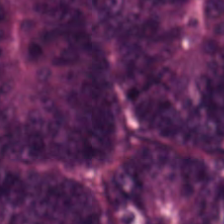20× equivalent magnification · hematoxylin and eosin · 224×224 px patch.
Q: What type of tissue is this?
A: The field shows colorectal adenocarcinoma.
